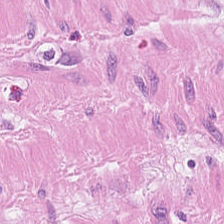H&E; FFPE tissue section — Smooth-muscle tissue.
